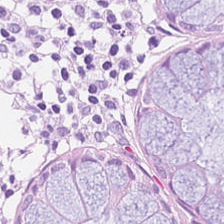0.5 µm per pixel; 224×224 px patch; hematoxylin-and-eosin stained section.
{"tissue_type": "non-neoplastic colon mucosa"}
